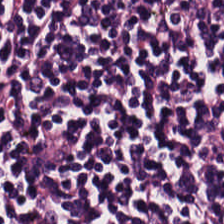Showing lymphocytic infiltrate.
